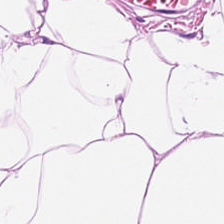Stain: hematoxylin and eosin.
Preparation: FFPE.
Tile size: 224×224 pixel tile.
Classification: adipocytes.
